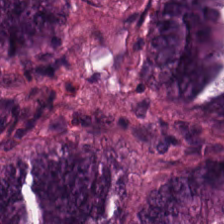Stain: H&E-stained tissue section.
Predominant tissue: tumor epithelium.
